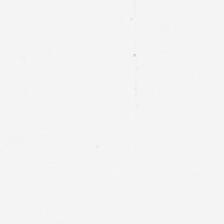Hematoxylin-and-eosin stained section.
Classification = no tissue.
